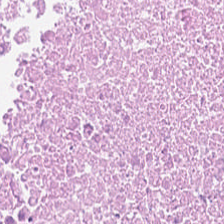Stain: H&E stain.
Tile size: 224×224 pixel tile.
Resolution: 20× equivalent magnification.
Tissue type: cellular debris.
